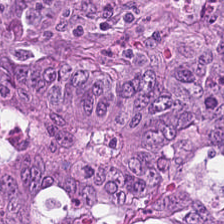H&E stain — Q: What is shown in this field?
A: The field shows colorectal adenocarcinoma epithelium.
